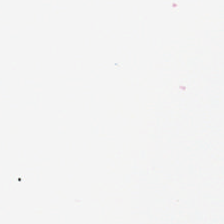The field content is background.
